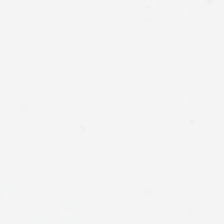224×224 px patch · H&E stain · 0.5 µm/px — This patch shows no tissue.
